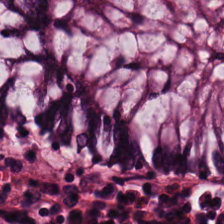Brightfield. Hematoxylin-and-eosin stained section. 0.5 microns per pixel. This patch shows normal colon mucosa.
